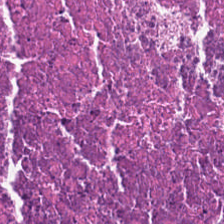WSI patch. Hematoxylin and eosin — Finding → debris.
